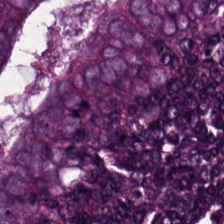H&E. Brightfield.
Q: What tissue is shown?
A: It is colorectal adenocarcinoma.
